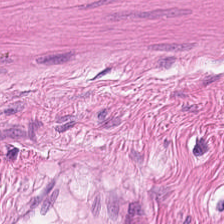H&E; whole-slide-image patch. Q: What does this patch show?
A: This is muscularis.
